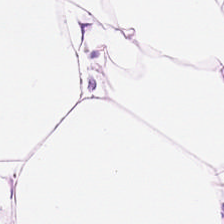Classification — adipose.
